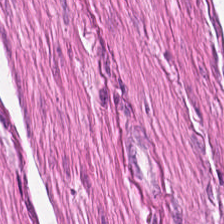Predominant tissue = smooth-muscle tissue.
